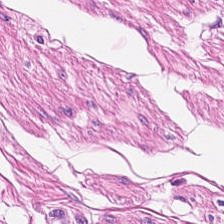H&E-stained tissue section. Whole-slide-image patch. This field is smooth muscle.
